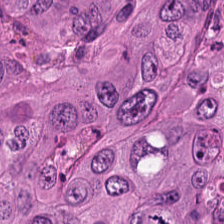H&E-stained tissue section — The predominant tissue is colorectal adenocarcinoma epithelium.
